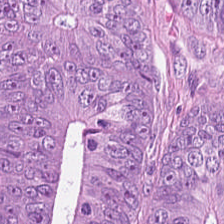Brightfield microscopy · H&E-stained tissue section. {"tissue_type": "colorectal adenocarcinoma epithelium"}
